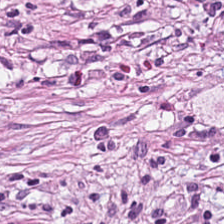H&E. Showing cancer-associated stroma.
